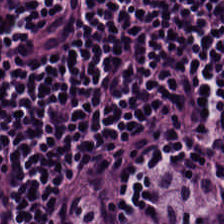Predominantly lymphocyte aggregate.
